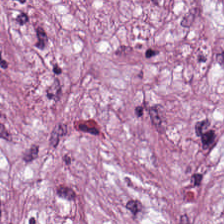Tissue class: desmoplastic stroma.
